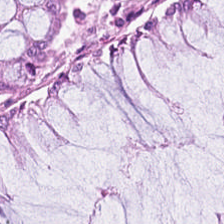0.5 µm/px. Hematoxylin-and-eosin stained section.
Showing normal colonic mucosa.
